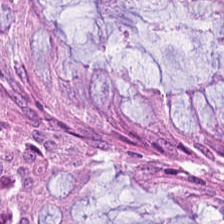FFPE tissue section · hematoxylin-and-eosin stained section · 224×224 pixel tile. Classification = normal colonic mucosa.
